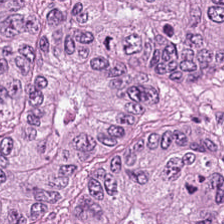Showing adenocarcinoma.
